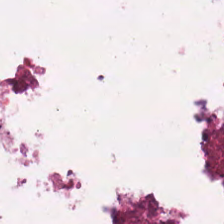Q: What tissue is shown?
A: The field shows debris.
